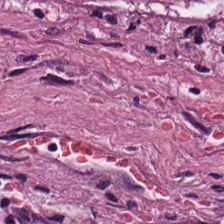Stain: H&E stain.
Predominant tissue: tumor stroma.
